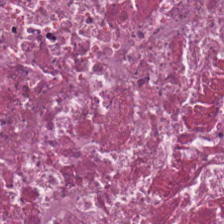Formalin-fixed paraffin-embedded section · 224×224 pixel tile · hematoxylin and eosin. Tissue type: necrotic debris.
